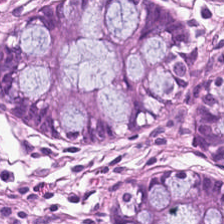H&E; whole-slide-image patch.
Q: What type of tissue is this?
A: The field shows normal colonic mucosa.
